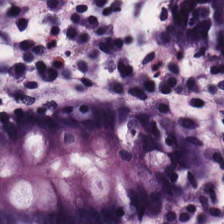Hematoxylin and eosin. The tissue type is normal colon mucosa.
